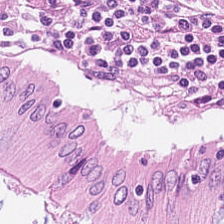Formalin-fixed paraffin-embedded section; H&E-stained tissue section; 224×224 pixel tile. Tissue: normal colon mucosa.
